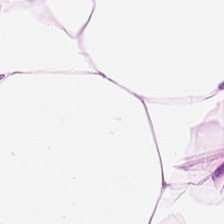Hematoxylin and eosin.
Classification — adipose.
